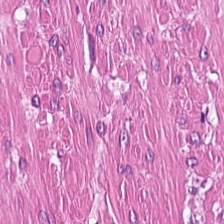224×224 px patch; hematoxylin and eosin; brightfield.
Classification — muscularis.
